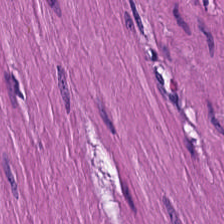Q: Identify the tissue.
A: It is smooth-muscle tissue.
